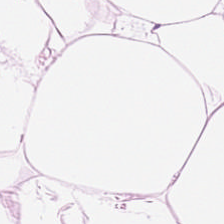224×224 pixel tile · H&E · 0.5 microns per pixel.
This patch shows adipose tissue.
